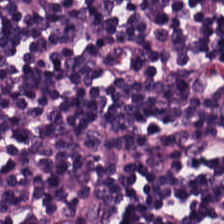Hematoxylin and eosin · brightfield microscopy — Predominant tissue — lymphocytes.
